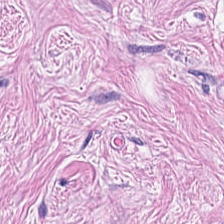224×224 px patch · hematoxylin-and-eosin stained section · FFPE. Predominant tissue: tumor-associated stroma.
